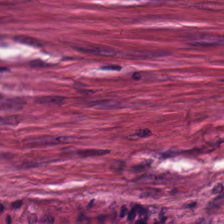H&E-stained tissue section — {"tissue_type": "tumor stroma"}
